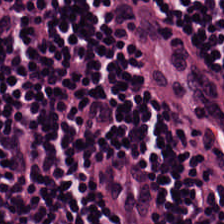Hematoxylin and eosin; 20× equivalent magnification. {"tissue_type": "lymphocyte aggregate"}
